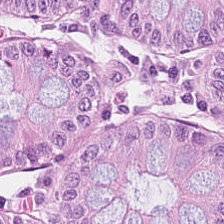Hematoxylin-and-eosin stained section — {"tissue_type": "benign colonic mucosa"}
